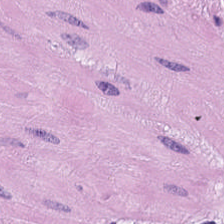H&E-stained tissue section. This patch shows smooth muscle.
